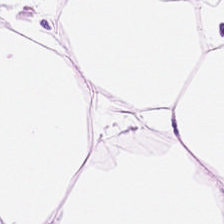Hematoxylin-and-eosin stained section. {"tissue_type": "adipocytes"}
